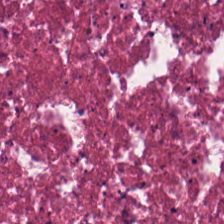H&E — cellular debris.
